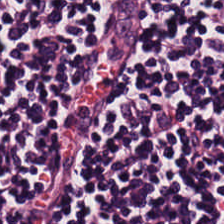Stain: H&E stain.
Tissue: lymphoid infiltrate.
